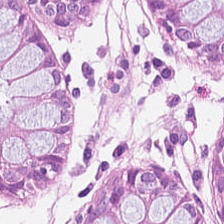H&E stain · FFPE tissue section.
{"tissue_type": "normal colon mucosa"}
